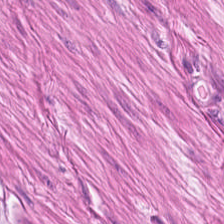H&E stain.
Q: Identify the tissue.
A: Smooth-muscle tissue.
